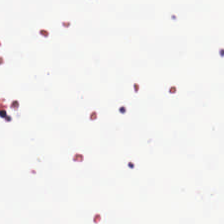0.5 µm per pixel. H&E. Formalin-fixed paraffin-embedded section — Classification: empty background.
